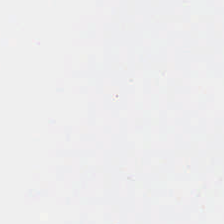Empty background.
